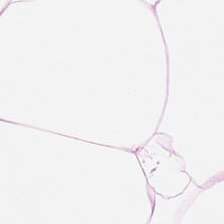FFPE. H&E-stained tissue section. This patch shows fat tissue.
